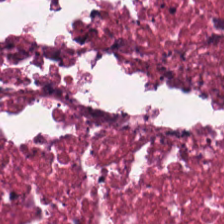Impression → necrotic debris.
